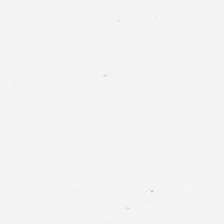Background — no tissue in this field.
